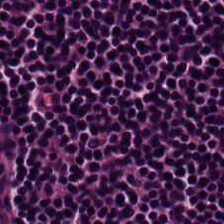Stain: hematoxylin-and-eosin stained section.
Preparation: formalin-fixed paraffin-embedded section.
Tissue class: lymphoid infiltrate.
